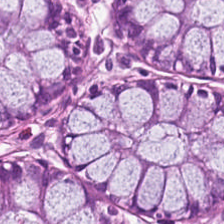Formalin-fixed paraffin-embedded section · 20× equivalent magnification · H&E. Q: What tissue type is shown here?
A: It is normal colonic mucosa.
